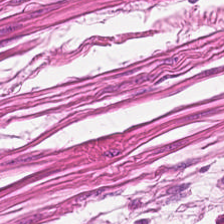H&E stain.
The tissue is muscularis.
